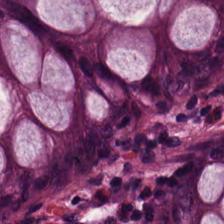Stain: H&E stain.
Classification: non-neoplastic colon mucosa.
